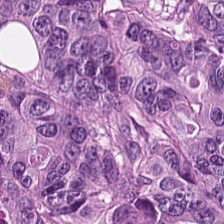H&E — Q: What type of tissue is this?
A: This is colorectal adenocarcinoma epithelium.
